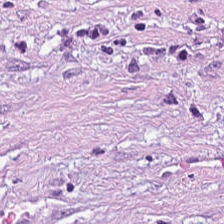Formalin-fixed paraffin-embedded section. H&E stain — Histology → tumor-associated stroma.
